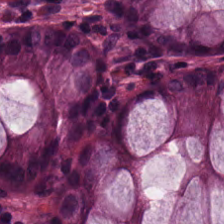Non-neoplastic colon mucosa.
